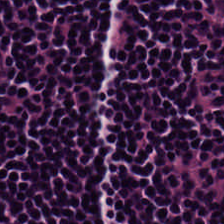Hematoxylin and eosin — Q: Classify this patch.
A: It is lymphoid infiltrate.
